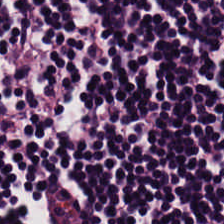H&E stain.
Tissue class = lymphoid infiltrate.
